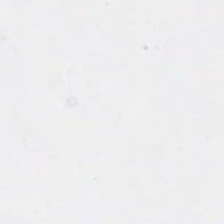H&E. Field content: empty background.
